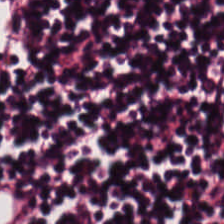Stain: H&E-stained tissue section.
Tissue: lymphocytic infiltrate.
